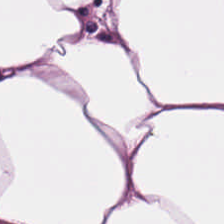Stain: H&E-stained tissue section.
Tissue: adipocytes.
